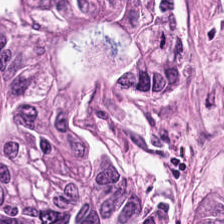Hematoxylin and eosin — Tissue class — adenocarcinoma.
